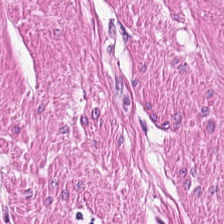Histology — muscularis.
